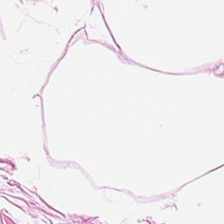H&E patch showing fat tissue.
